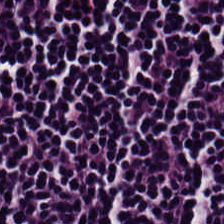Tissue — lymphocytic infiltrate.
